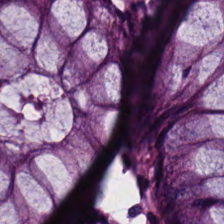Hematoxylin and eosin. Showing benign colonic mucosa.
